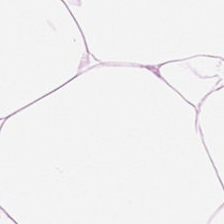Hematoxylin-and-eosin stained section · FFPE. Classification: fat tissue.
